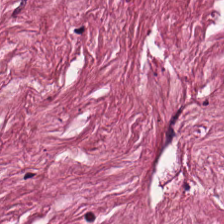Tumor stroma.
